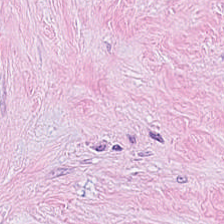Stain: H&E-stained tissue section.
Tissue: cancer-associated stroma.
